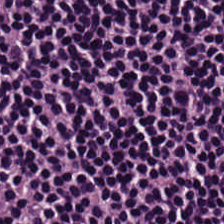0.5 µm/px · FFPE · H&E stain — Predominant tissue — lymphocytes.
